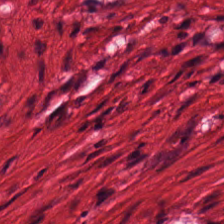Hematoxylin and eosin. Predominantly muscularis.
